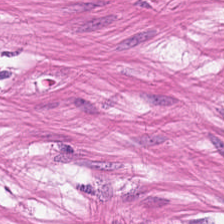H&E-stained tissue section — Finding → smooth muscle.
